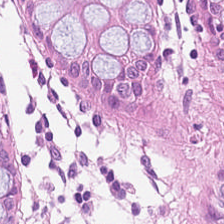Q: What is the predominant tissue type?
A: It is non-neoplastic colon mucosa.
